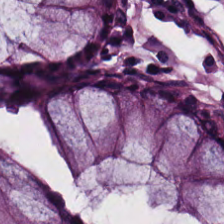Hematoxylin-and-eosin stained section; FFPE — The tissue type is normal colon mucosa.
